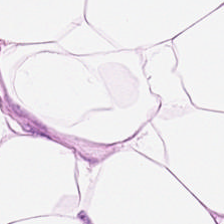224×224 px tile · H&E · 0.5 microns per pixel. This patch shows adipose tissue.
